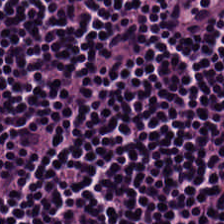The predominant tissue is lymphocytes.
